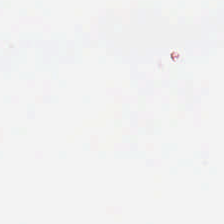No tissue present; background only.
